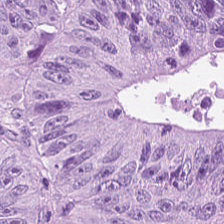H&E-stained tissue section. Impression — malignant epithelium.
